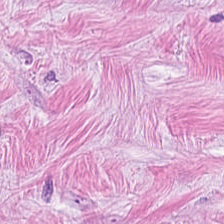H&E stain.
Cancer-associated stroma.
